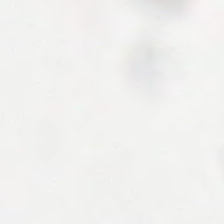Hematoxylin-and-eosin stained section. This field is background (no tissue).
